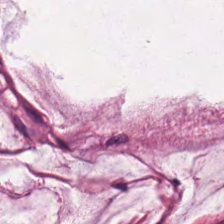H&E stain; FFPE tissue section; 0.5 µm/px.
Q: What type of tissue is this?
A: Mucin.
